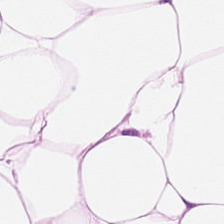Hematoxylin and eosin.
Classification = adipocytes.
